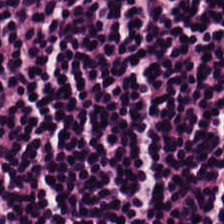H&E-stained tissue section. 224×224 px tile. Brightfield — Lymphocyte aggregate.
